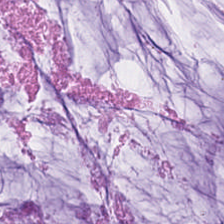Tissue type — extracellular mucin.
